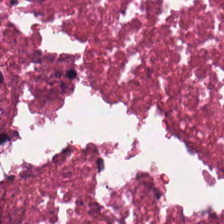Formalin-fixed paraffin-embedded section; H&E-stained tissue section. This patch shows necrotic debris.
